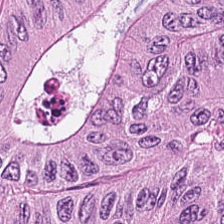H&E-stained tissue section — Showing colorectal adenocarcinoma epithelium.
